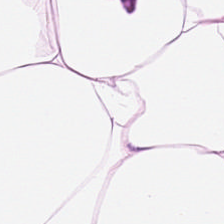Brightfield; formalin-fixed paraffin-embedded section; H&E-stained tissue section — This field is fat tissue.
